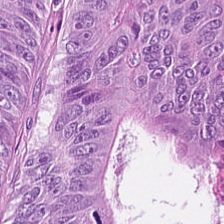H&E — colorectal adenocarcinoma.
